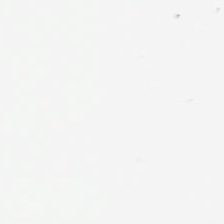0.5 µm per pixel; hematoxylin and eosin — The content is background.
